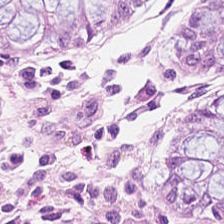Hematoxylin and eosin · 224×224 px patch.
Showing normal colon mucosa.
